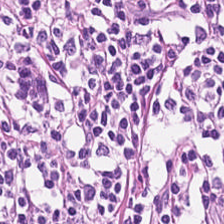Brightfield microscopy. 20× equivalent magnification. H&E stain. This field is lymphocytes.
